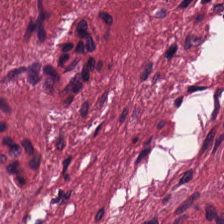H&E-stained section; the field shows desmoplastic stroma.
